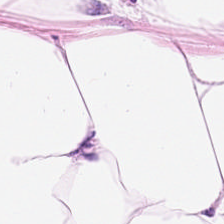H&E-stained tissue section. Brightfield.
Tissue type: fat tissue.
